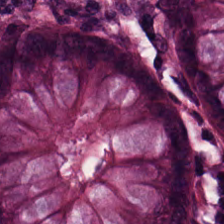H&E-stained tissue section. The predominant tissue is benign colonic mucosa.
